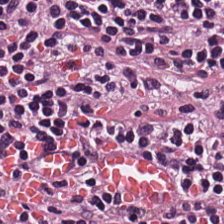Hematoxylin and eosin. Whole-slide-image patch — Predominantly lymphocyte aggregate.
